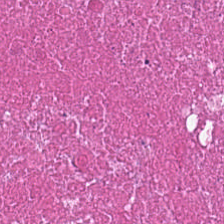0.5 microns per pixel; hematoxylin-and-eosin stained section.
Showing debris.
